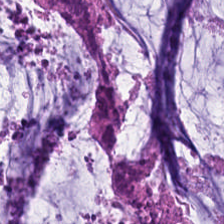Hematoxylin-and-eosin stained section; formalin-fixed paraffin-embedded section — Showing mucus.
